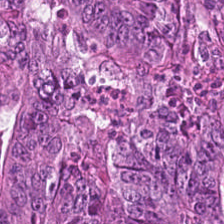The predominant tissue is malignant epithelium.
